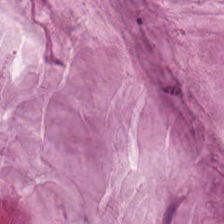H&E — Finding — mucus.
